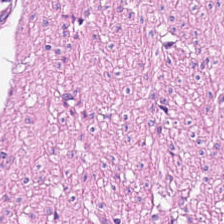224×224 pixel tile. Hematoxylin-and-eosin stained section. Tissue class = smooth-muscle tissue.
